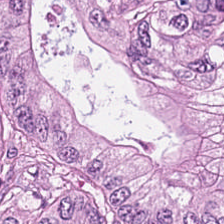Hematoxylin-and-eosin stained section — Showing malignant epithelium.
